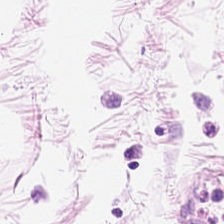H&E-stained tissue section. 0.5 microns per pixel — The classification is adipose.
